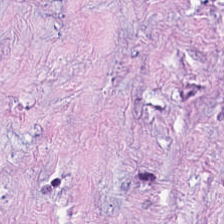Hematoxylin-and-eosin stained section. 224×224 px patch — The predominant tissue is tumor-associated stroma.
